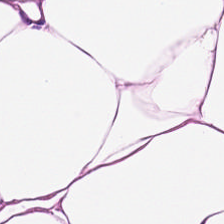Hematoxylin-and-eosin stained section · FFPE. Predominant tissue = adipose tissue.
